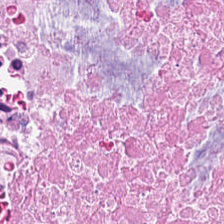20× equivalent magnification · H&E-stained tissue section.
Showing cellular debris.
